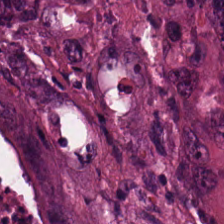Hematoxylin and eosin.
Q: Identify the tissue.
A: It is adenocarcinoma.
